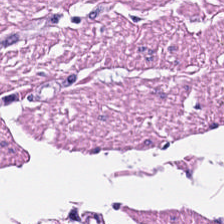Stain: hematoxylin and eosin.
Tissue: smooth muscle.
